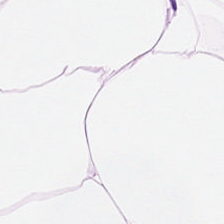Hematoxylin-and-eosin stained section.
Impression → fat tissue.
